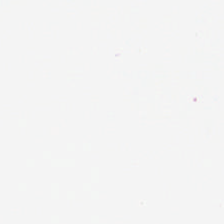Hematoxylin-and-eosin stained section.
Impression → empty background.
